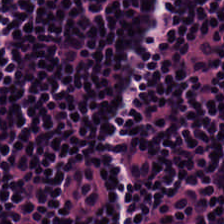Hematoxylin and eosin; formalin-fixed paraffin-embedded section.
Predominantly lymphoid infiltrate.
